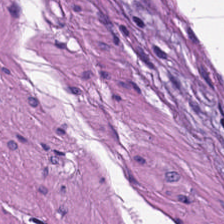224×224 pixel tile; hematoxylin-and-eosin stained section.
This field is smooth-muscle tissue.
